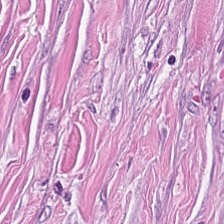H&E-stained tissue section.
This patch shows tumor stroma.
